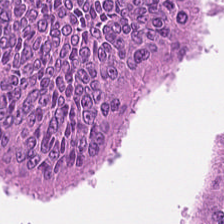Stain: hematoxylin and eosin.
Tile size: 224×224 px patch.
Resolution: 0.5 µm/px.
Predominant tissue: colorectal adenocarcinoma epithelium.
